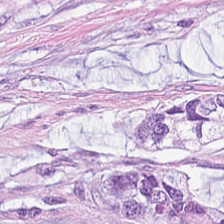H&E — mucin.
